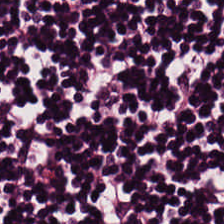H&E-stained tissue section. 0.5 µm/px — Showing lymphocytes.
